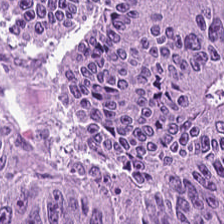Brightfield · 224×224 px patch · H&E stain. Classification = adenocarcinoma.
